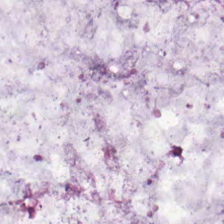{"tissue_type": "extracellular mucin"}
